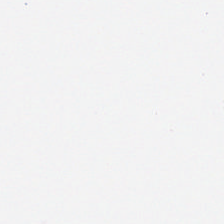H&E stain · FFPE. {"content": "empty background"}
